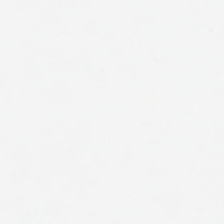FFPE. Hematoxylin-and-eosin stained section.
Histology — background.
